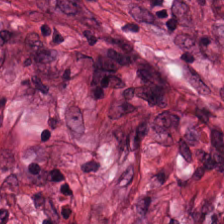224×224 px patch. 0.5 microns per pixel. H&E-stained tissue section — Cancer-associated stroma.
